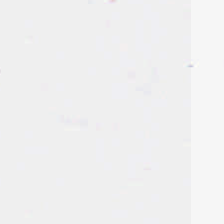H&E stain.
No tissue present; background only.
